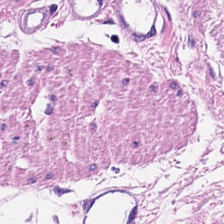224×224 pixel tile. H&E stain. 0.5 µm per pixel.
Q: What tissue type is shown here?
A: The field shows muscularis.
